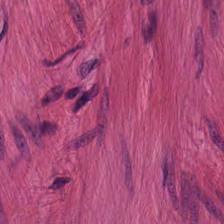The predominant tissue is muscularis.
